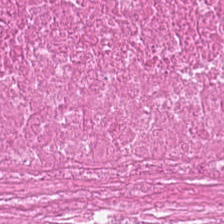H&E. The tissue type is necrotic debris.
